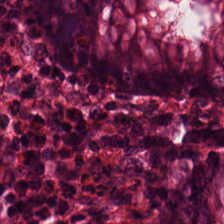H&E. FFPE tissue section. Brightfield. Q: What is the predominant tissue type?
A: It is non-neoplastic colon mucosa.
